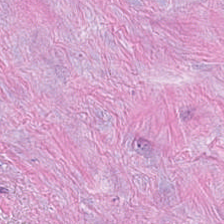Hematoxylin and eosin · 224×224 px tile — Histology → desmoplastic stroma.
